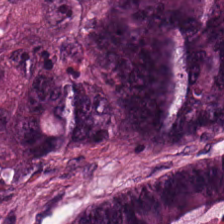The tissue here is tumor epithelium.
